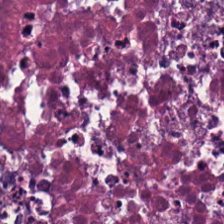0.5 µm/px; hematoxylin-and-eosin stained section.
Histology — cellular debris.
